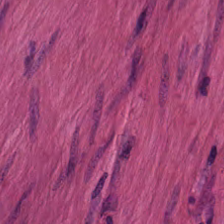{"tissue_type": "smooth-muscle tissue"}
